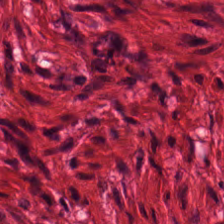This field is muscularis.
